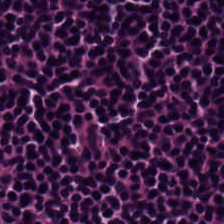Impression → lymphocyte aggregate.
